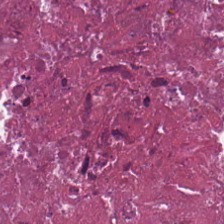The tissue class is necrotic debris.
